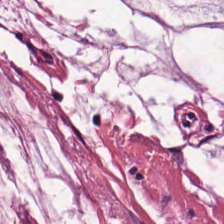Hematoxylin-and-eosin stained section — Tissue type: mucin.
